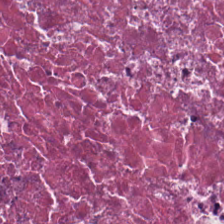Hematoxylin-and-eosin stained section · formalin-fixed paraffin-embedded section — The tissue type is necrotic debris.
